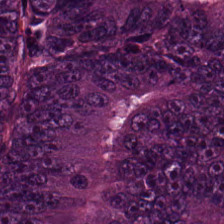H&E-stained tissue section. This field is colorectal adenocarcinoma epithelium.
